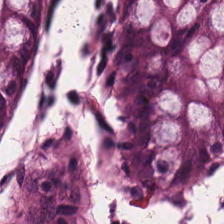Hematoxylin-and-eosin section: non-neoplastic colon mucosa.
